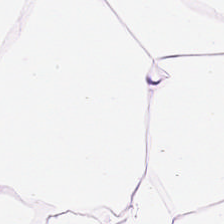Brightfield. Hematoxylin-and-eosin stained section. 0.5 µm per pixel — Adipose.
